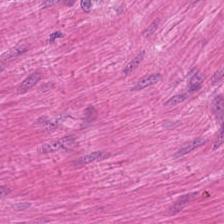Hematoxylin and eosin. The tissue here is muscularis.
